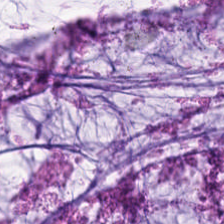Q: What is the predominant tissue type?
A: This is mucus.
